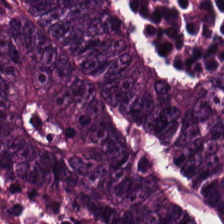H&E-stained tissue section.
Tissue — adenocarcinoma.
